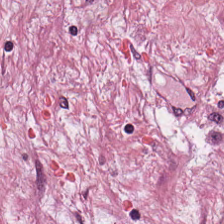Hematoxylin-and-eosin stained section · FFPE · 0.5 µm/px. Showing cancer-associated stroma.
